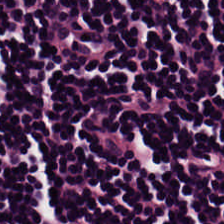Q: Identify the tissue.
A: This is lymphocytic infiltrate.
